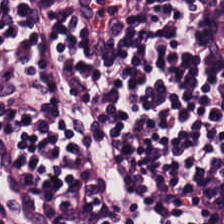0.5 µm per pixel; FFPE; H&E stain — Tissue: lymphoid infiltrate.
